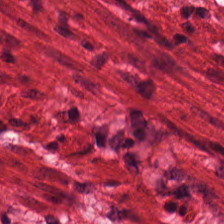Hematoxylin-and-eosin stained section; 224×224 pixel tile. The tissue type is smooth-muscle tissue.
